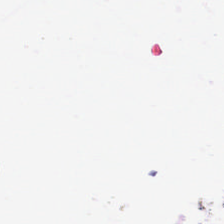H&E stain. Empty field — empty background.
